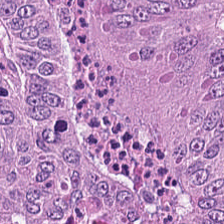H&E · FFPE tissue section — The predominant tissue is colorectal adenocarcinoma epithelium.
